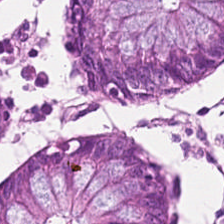H&E stain. Q: What is shown in this field?
A: This is normal colon mucosa.
